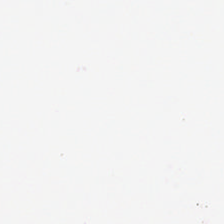H&E.
{"content": "no tissue"}
